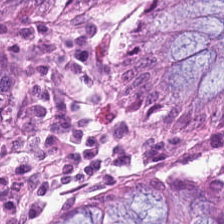H&E-stained tissue section. Classification = benign colonic mucosa.
